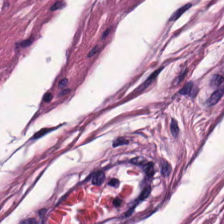0.5 µm per pixel · brightfield · hematoxylin-and-eosin stained section. Smooth-muscle tissue.
